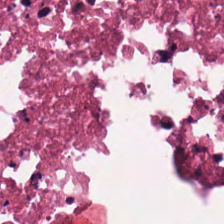Hematoxylin-and-eosin stained section.
The tissue here is cellular debris.
